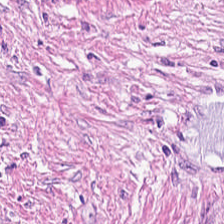Hematoxylin-and-eosin stained section; 224×224 px tile — Tumor-associated stroma.
